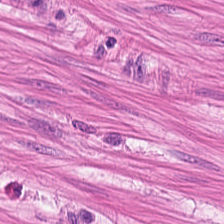H&E-stained tissue section · FFPE · brightfield microscopy.
Muscularis.
